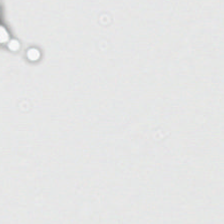FFPE · H&E-stained tissue section · brightfield.
Background — no tissue in this field.
